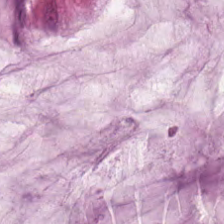This patch shows mucus.
